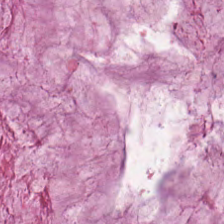Hematoxylin-and-eosin stained section. FFPE. 0.5 microns per pixel.
Finding → mucus.
